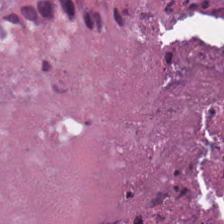H&E stain.
Showing debris.
